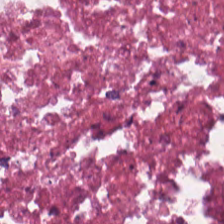H&E stain. Q: What is shown here?
A: It is cellular debris.
